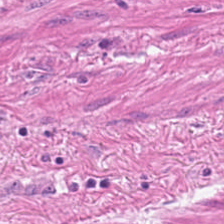Hematoxylin-and-eosin stained section — Tissue class = muscularis.
